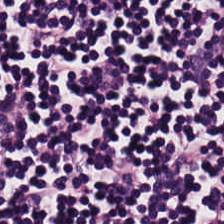Stain: H&E.
Acquisition: brightfield.
Classification: lymphocytes.
